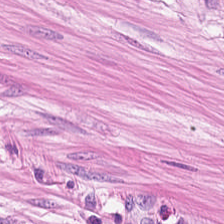Q: What type of tissue is this?
A: It is muscularis.
